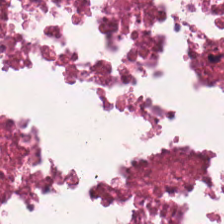Brightfield microscopy · 224×224 px patch · hematoxylin and eosin. Tissue = necrotic debris.
